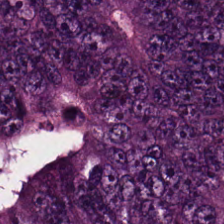Hematoxylin-and-eosin stained section.
The predominant tissue is tumor epithelium.
